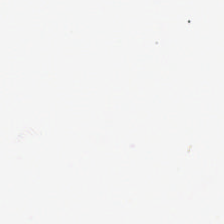Stain: H&E.
Field content: no tissue.
